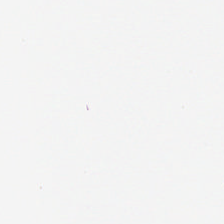Hematoxylin-and-eosin stained section; whole-slide-image patch. This patch shows empty background.
